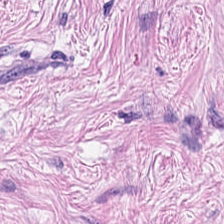H&E. Predominantly cancer-associated stroma.
